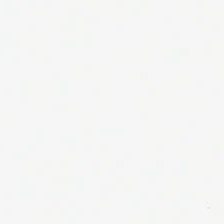Field content: empty background.
